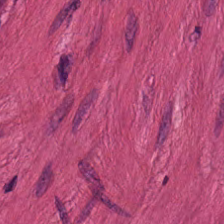Hematoxylin and eosin — Tissue class: smooth muscle.
